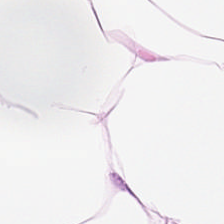Q: What does this patch show?
A: It is fat tissue.
